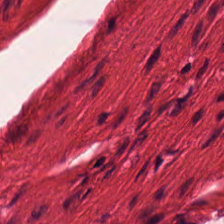224×224 pixel tile · hematoxylin-and-eosin stained section — Tissue — smooth muscle.
